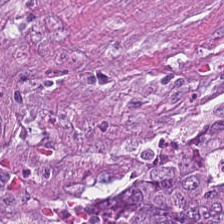H&E · 0.5 µm/px · brightfield microscopy — The predominant tissue is adenocarcinoma.
